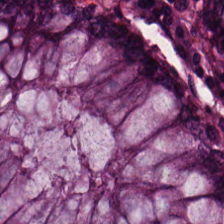H&E-stained tissue section. Predominant tissue = normal colonic mucosa.
